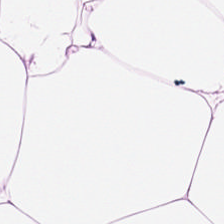Hematoxylin and eosin; brightfield.
Tissue = adipose tissue.
